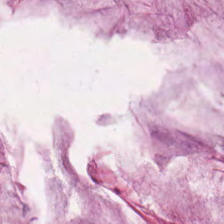H&E-stained tissue section.
Q: What is the predominant tissue type?
A: This is extracellular mucin.
